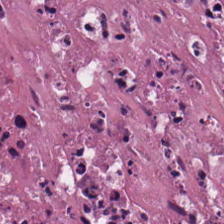Stain: H&E stain.
Classification: cellular debris.
